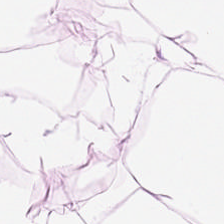224×224 pixel tile. H&E. 0.5 microns per pixel.
The tissue type is adipose.
